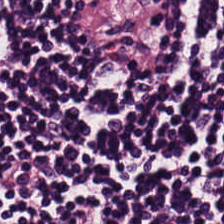Q: What type of tissue is this?
A: Lymphocytic infiltrate.
